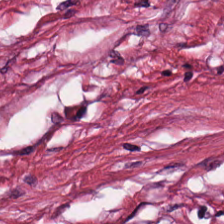Brightfield microscopy · hematoxylin-and-eosin stained section. Predominantly cancer-associated stroma.
